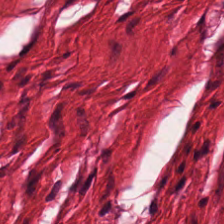Stain: hematoxylin-and-eosin stained section.
Tissue class: smooth-muscle tissue.
